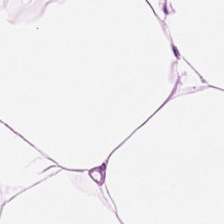Histology → fat tissue.
